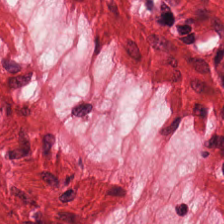Hematoxylin and eosin.
Q: What does this patch show?
A: The field shows muscularis.
